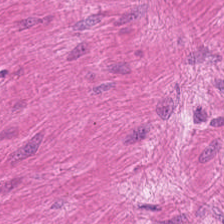Stain: hematoxylin-and-eosin stained section.
Acquisition: brightfield microscopy.
Tile size: 224×224 px patch.
Predominant tissue: smooth-muscle tissue.
